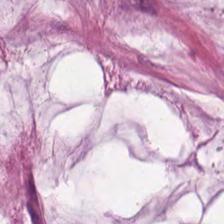Hematoxylin-and-eosin stained section. Q: What type of tissue is this?
A: It is mucus.
